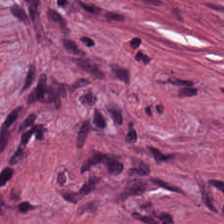Hematoxylin and eosin.
Finding → cancer-associated stroma.
